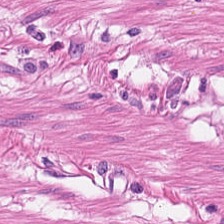Stain: hematoxylin-and-eosin stained section.
Tile size: 224×224 px patch.
Preparation: FFPE.
Predominant tissue: muscularis.
